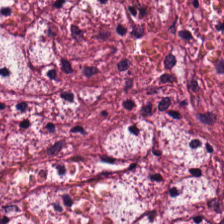224×224 px tile. FFPE tissue section. H&E stain — Cancer-associated stroma.
